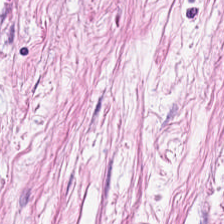Brightfield microscopy; H&E-stained tissue section — This field is cancer-associated stroma.
